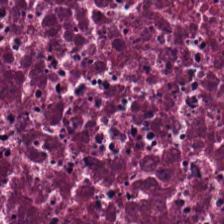H&E-stained section; the field shows necrotic debris.
